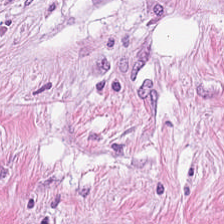Stain: hematoxylin and eosin.
Tissue: tumor-associated stroma.
